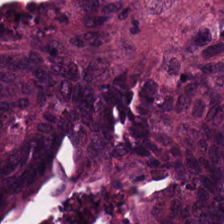Finding — colorectal adenocarcinoma epithelium.
